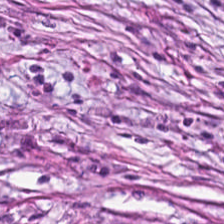Desmoplastic stroma.
